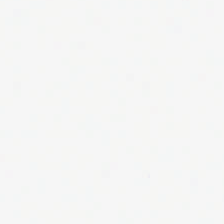Q: What is shown here?
A: No tissue.
